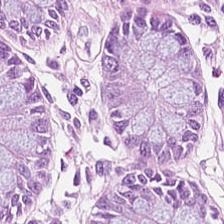The classification is non-neoplastic colon mucosa.
